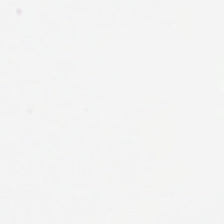Stain: hematoxylin and eosin.
Acquisition: brightfield.
Tile size: 224×224 px tile.
Field content: background.
